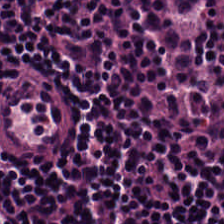Stain: H&E-stained tissue section.
Tile size: 224×224 pixel tile.
Predominant tissue: lymphocytic infiltrate.
